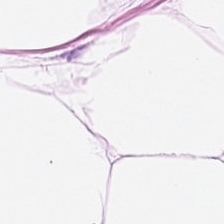H&E-stained tissue section. Q: Identify the tissue.
A: The field shows adipose.
